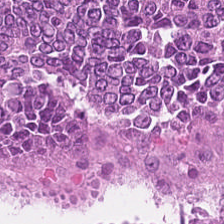Tissue: adenocarcinoma.
